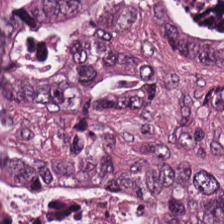H&E-stained tissue section.
This patch shows tumor epithelium.
